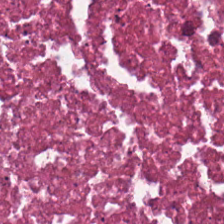H&E stain. Showing cellular debris.
